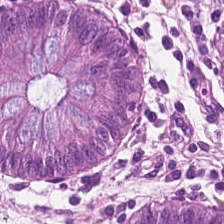Hematoxylin and eosin. 224×224 px tile — Tissue class — normal colon mucosa.
